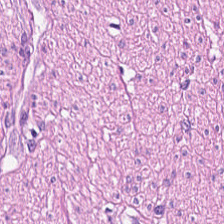The tissue type is smooth-muscle tissue.
